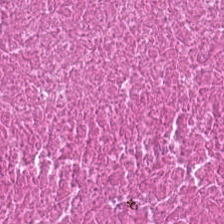H&E stain. Showing necrotic debris.
